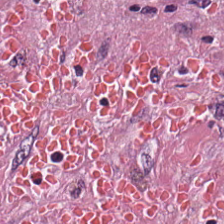WSI patch; H&E-stained tissue section; 224×224 pixel tile — {"tissue_type": "cancer-associated stroma"}
